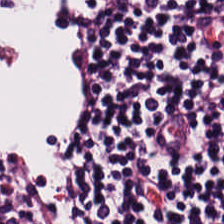Hematoxylin-and-eosin stained section.
Lymphocytes.
